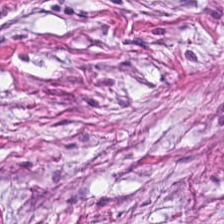Stain: H&E-stained tissue section.
Tissue: desmoplastic stroma.
